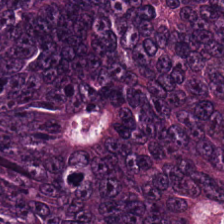H&E — Tissue class — colorectal adenocarcinoma.
